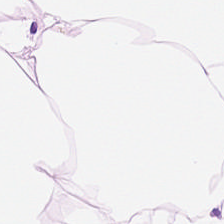H&E-stained tissue section.
This patch shows adipose.
